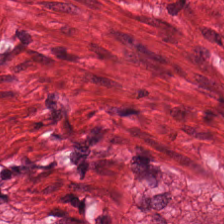224×224 pixel tile · hematoxylin-and-eosin stained section · brightfield microscopy. Histology → muscularis.
